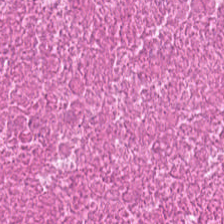Hematoxylin and eosin — Predominant tissue — necrotic debris.
